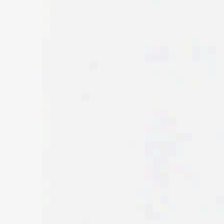H&E-stained tissue section · 0.5 µm/px. Classification = no tissue.
